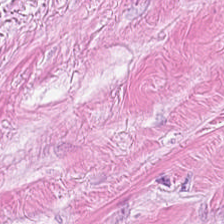0.5 µm per pixel; hematoxylin and eosin — Q: What tissue type is shown here?
A: Tumor stroma.
